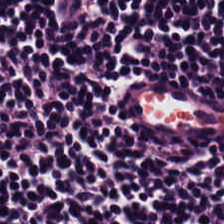Stain: H&E stain.
Predominant tissue: lymphocyte aggregate.
